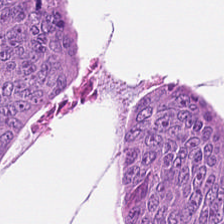H&E stain · 224×224 px tile — Predominantly malignant epithelium.
